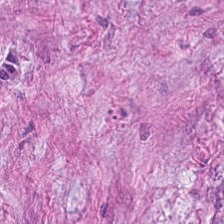{"tissue_type": "cancer-associated stroma"}
